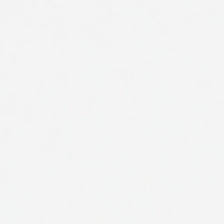Classification: background (no tissue).
